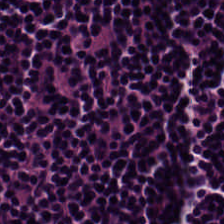Stain: hematoxylin and eosin.
Tile size: 224×224 pixel tile.
Preparation: formalin-fixed paraffin-embedded section.
Classification: lymphocytes.
